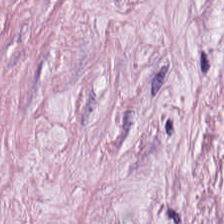H&E — Predominantly tumor-associated stroma.
